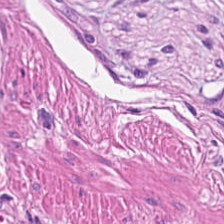Brightfield. Hematoxylin and eosin — Finding — smooth muscle.
